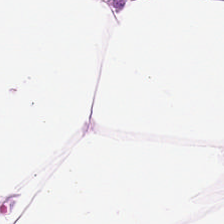Hematoxylin-and-eosin stained section; 224×224 px patch. Q: What is shown here?
A: It is adipose.
